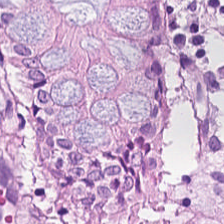Formalin-fixed paraffin-embedded section; hematoxylin and eosin.
The tissue here is non-neoplastic colon mucosa.
